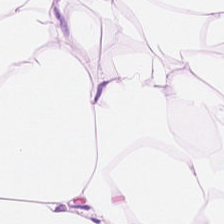Brightfield microscopy · hematoxylin and eosin — Showing adipocytes.
